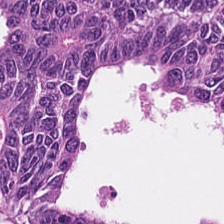This patch shows malignant epithelium.
